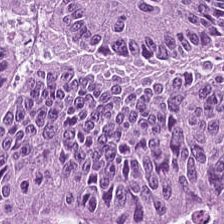H&E. Impression → malignant epithelium.
